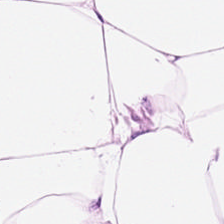H&E-stained tissue section. Formalin-fixed paraffin-embedded section. {"tissue_type": "adipocytes"}
